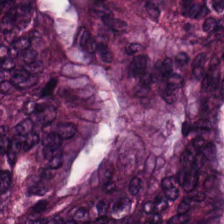Stain: H&E stain.
Resolution: 20× equivalent magnification.
Predominant tissue: tumor epithelium.
